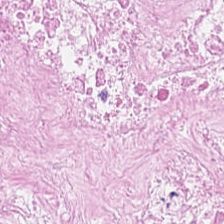H&E-stained section; the field shows cellular debris.
